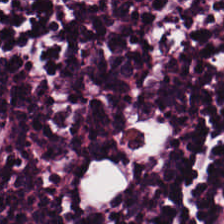224×224 px tile. H&E — Showing lymphocyte aggregate.
